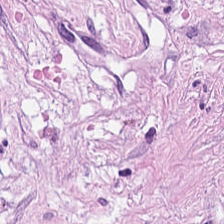Hematoxylin and eosin — Tissue type — tumor-associated stroma.
